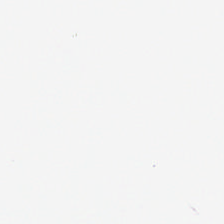Stain: hematoxylin-and-eosin stained section.
Content: background.
